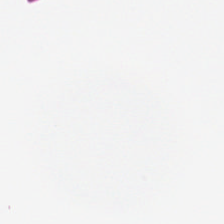This field is background (no tissue).
